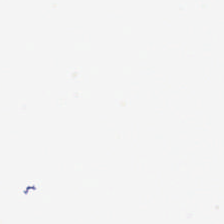FFPE tissue section; H&E-stained tissue section.
Finding → empty background.
